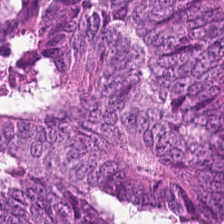The predominant tissue is malignant epithelium.
